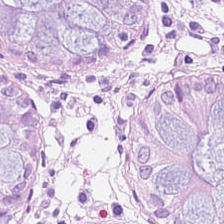Predominant tissue = benign colonic mucosa.
